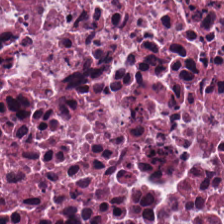H&E-stained tissue section. Histology — debris.
